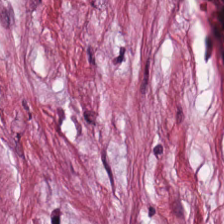H&E-stained tissue section.
Cancer-associated stroma.
